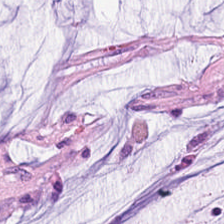Hematoxylin-and-eosin stained section. Whole-slide-image patch — {"tissue_type": "extracellular mucin"}
